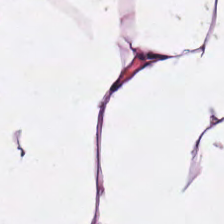Q: What is the predominant tissue type?
A: Adipocytes.
